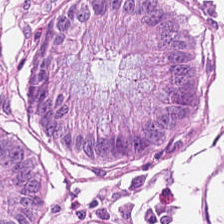Q: What is shown here?
A: The field shows normal colon mucosa.
